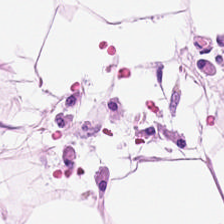0.5 µm/px; 224×224 pixel tile; H&E stain.
Classification = adipose tissue.
